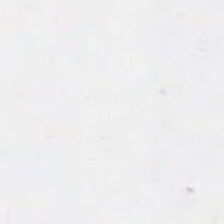Hematoxylin-and-eosin stained section.
Q: What is shown here?
A: The field shows empty background.
